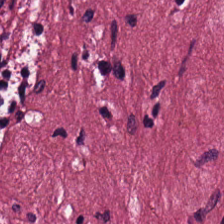H&E; 0.5 µm/px — The predominant tissue is tumor stroma.
